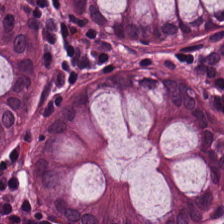FFPE tissue section. H&E stain. Brightfield microscopy.
Tissue type: non-neoplastic colon mucosa.
